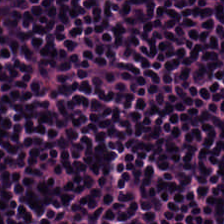H&E-stained tissue section showing lymphoid infiltrate.
